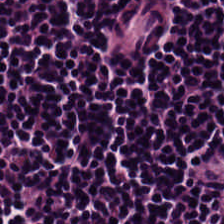H&E — Tissue class — lymphoid infiltrate.
